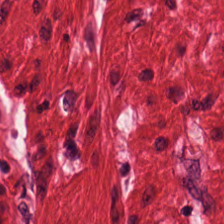This patch shows smooth muscle.
